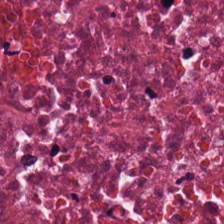Hematoxylin-and-eosin stained section. The predominant tissue is debris.
